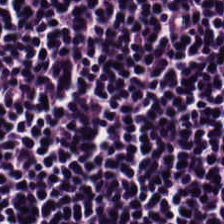224×224 px tile; H&E.
This patch shows lymphocytic infiltrate.
